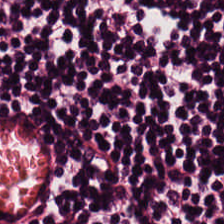H&E — This field is lymphoid infiltrate.
